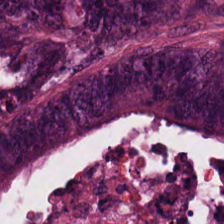Whole-slide-image patch · H&E.
Histology → colorectal adenocarcinoma.
